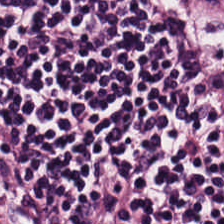H&E stain; whole-slide-image patch; 0.5 µm/px.
The tissue here is lymphocyte aggregate.
